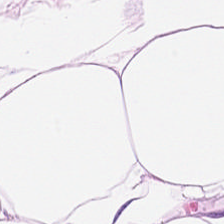20× equivalent magnification; hematoxylin-and-eosin stained section.
Q: What tissue is shown?
A: It is adipocytes.
